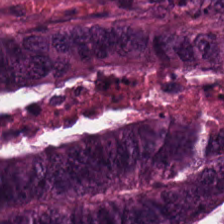Predominant tissue — adenocarcinoma.
